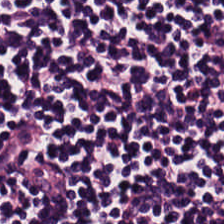Q: What does this patch show?
A: Lymphocyte aggregate.
